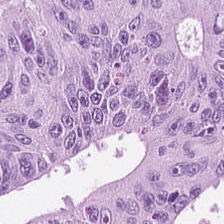H&E stain; 0.5 microns per pixel.
This field is colorectal adenocarcinoma.
